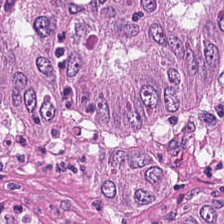0.5 microns per pixel · hematoxylin-and-eosin stained section. Q: What tissue type is shown here?
A: Adenocarcinoma.
